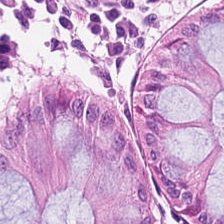Hematoxylin and eosin.
Q: What is shown here?
A: It is normal colonic mucosa.
